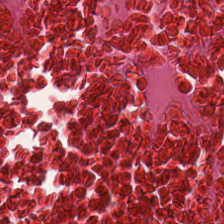FFPE. H&E stain. 224×224 px tile. This patch shows cellular debris.
